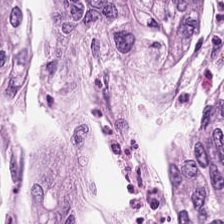Classification: colorectal adenocarcinoma.
